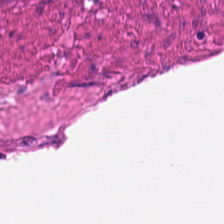Hematoxylin-and-eosin stained section. The predominant tissue is smooth muscle.
